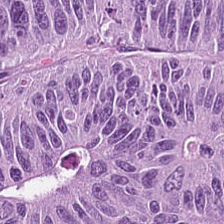H&E — This field is colorectal adenocarcinoma.
